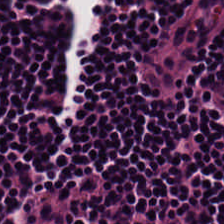Hematoxylin-and-eosin stained section — Classification = lymphocytic infiltrate.
